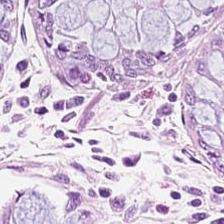H&E stain. Tissue class — benign colonic mucosa.
